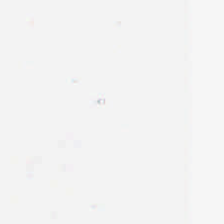Background (no tissue).
